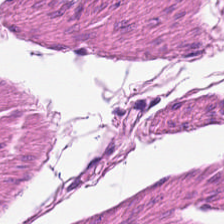Brightfield. Hematoxylin and eosin — Q: What tissue type is shown here?
A: It is smooth-muscle tissue.
